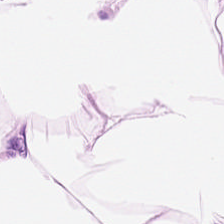224×224 px tile · H&E-stained tissue section.
Predominantly adipose.
